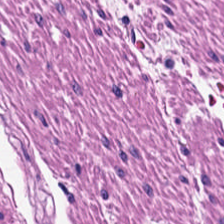H&E.
Classification — smooth muscle.
